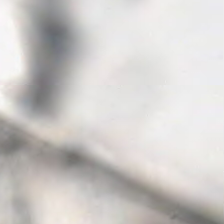224×224 px tile. Brightfield. H&E — Q: What is shown in this field?
A: This is background.
